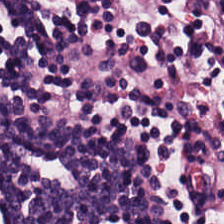Stain: hematoxylin-and-eosin stained section.
Acquisition: brightfield microscopy.
Preparation: FFPE.
Tissue: lymphocyte aggregate.
